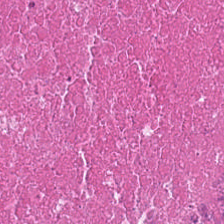Hematoxylin-and-eosin stained section. Q: What tissue type is shown here?
A: It is cellular debris.
